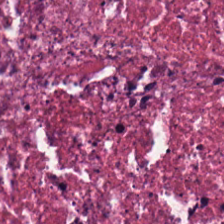Formalin-fixed paraffin-embedded section; H&E; WSI patch.
{"tissue_type": "necrotic debris"}
